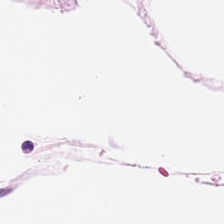Fat tissue.
